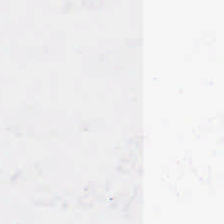0.5 µm/px. Hematoxylin-and-eosin stained section. Classification = background (no tissue).
